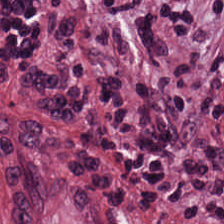Q: What is the predominant tissue type?
A: The field shows tumor stroma.
